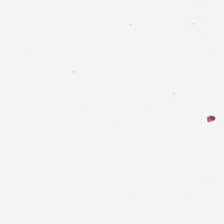H&E.
{"content": "background (no tissue)"}
